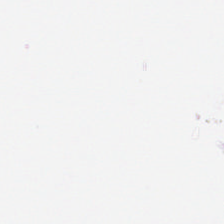H&E-stained tissue section.
Q: What does this patch show?
A: Background.
